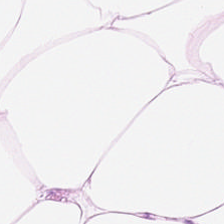H&E-stained tissue section. This field is adipose tissue.
